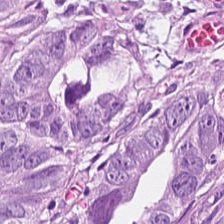Tissue class — malignant epithelium.
